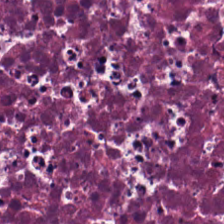Impression → debris.
